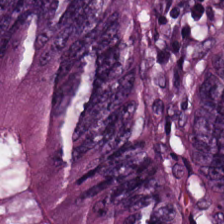Formalin-fixed paraffin-embedded section · hematoxylin-and-eosin stained section.
Finding → colorectal adenocarcinoma epithelium.
